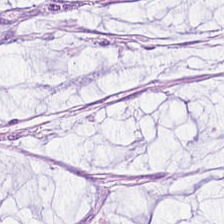H&E — Tissue — mucus.
